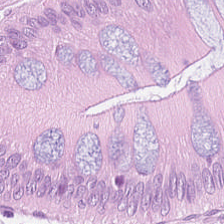Predominant tissue: benign colonic mucosa.
